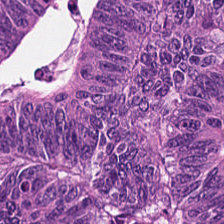Q: What is the predominant tissue type?
A: The field shows colorectal adenocarcinoma epithelium.
